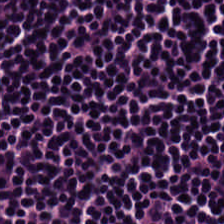H&E stain · 0.5 µm/px — The classification is lymphocytic infiltrate.
